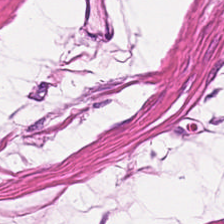H&E — Q: What tissue is shown?
A: Muscularis.
